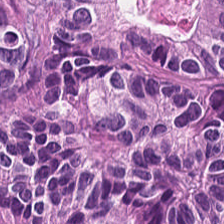Finding — colorectal adenocarcinoma.
